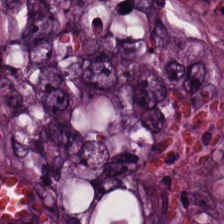0.5 µm/px. H&E stain — The tissue type is adenocarcinoma.
